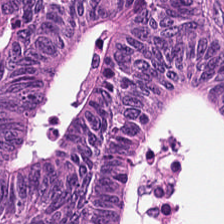Hematoxylin-and-eosin stained section · FFPE. Classification = colorectal adenocarcinoma epithelium.
